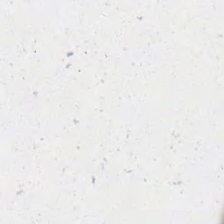224×224 px tile. H&E. 20× equivalent magnification.
Content — background (no tissue).
